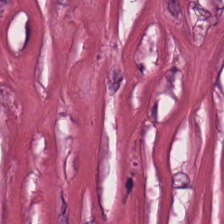Finding — tumor stroma.
